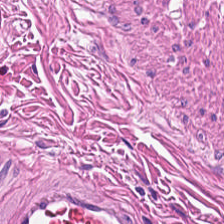Hematoxylin-and-eosin stained section. Classification = muscularis.
